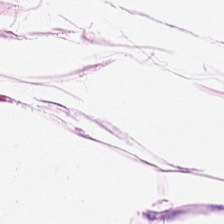Q: Identify the tissue.
A: Adipose.
